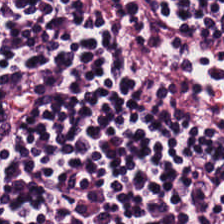The tissue type is lymphocytes.
